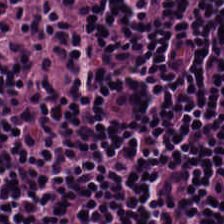H&E — {"tissue_type": "lymphocyte aggregate"}
